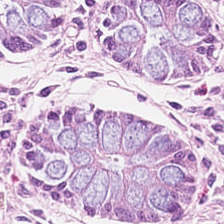The tissue is normal colon mucosa.
